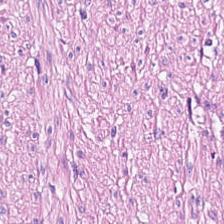H&E — Q: Identify the tissue.
A: This is muscularis.
